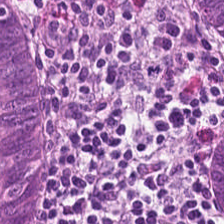Q: What tissue type is shown here?
A: This is normal colon mucosa.
